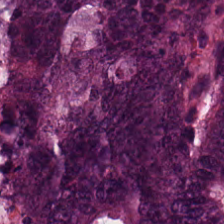Stain: H&E.
Acquisition: brightfield microscopy.
Predominant tissue: malignant epithelium.
